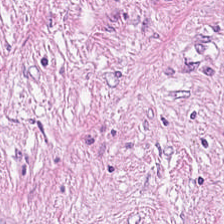H&E. 0.5 µm/px. Formalin-fixed paraffin-embedded section — Impression — cancer-associated stroma.
